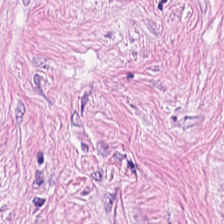20× equivalent magnification; hematoxylin and eosin.
The predominant tissue is desmoplastic stroma.
